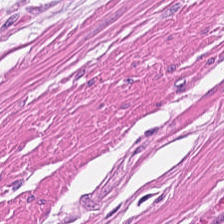H&E · 224×224 pixel tile.
Q: What type of tissue is this?
A: Muscularis.
